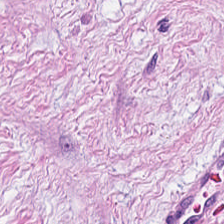Brightfield microscopy. Hematoxylin and eosin.
Q: Classify this patch.
A: It is cancer-associated stroma.
